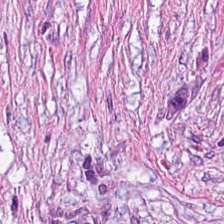Q: What is shown in this field?
A: It is cancer-associated stroma.
